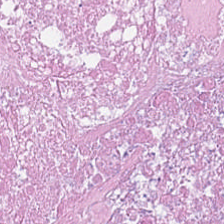Stain: H&E-stained tissue section.
Tile size: 224×224 pixel tile.
Tissue type: debris.
